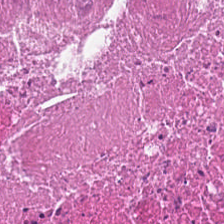H&E stain.
{"tissue_type": "necrotic debris"}
